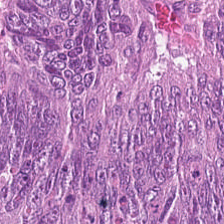Finding — colorectal adenocarcinoma epithelium.
